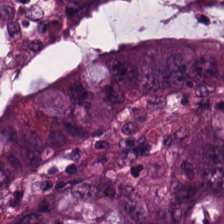H&E patch showing malignant epithelium.
